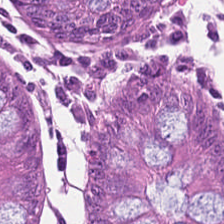H&E-stained tissue section. FFPE. 0.5 µm/px — Q: What tissue is shown?
A: It is normal colonic mucosa.
